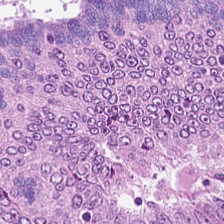Hematoxylin-and-eosin stained section; 0.5 microns per pixel.
The tissue here is colorectal adenocarcinoma epithelium.
